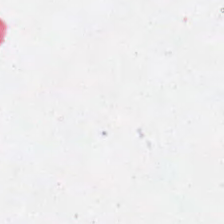H&E.
Finding → background.
